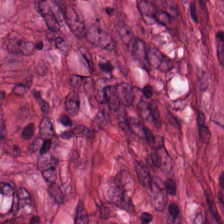Histology → tumor stroma.
